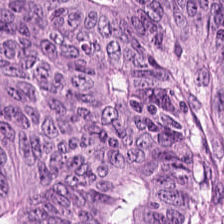0.5 microns per pixel; hematoxylin-and-eosin stained section — Q: What tissue is shown?
A: Colorectal adenocarcinoma epithelium.
